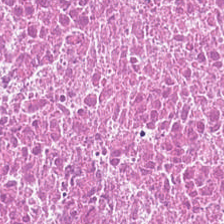Whole-slide-image patch. Hematoxylin and eosin — {"tissue_type": "debris"}
